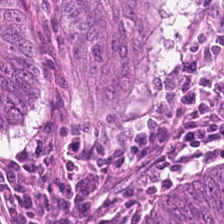Hematoxylin and eosin.
Tumor epithelium.
